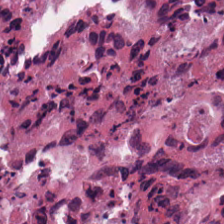20× equivalent magnification. Hematoxylin-and-eosin stained section.
{"tissue_type": "debris"}
